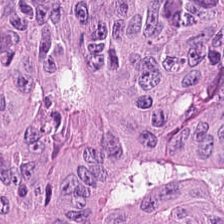Brightfield; H&E — Tissue type = colorectal adenocarcinoma epithelium.
